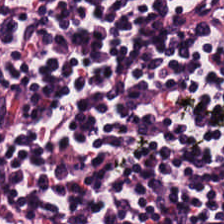Hematoxylin and eosin — The predominant tissue is lymphoid infiltrate.
